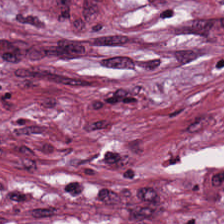H&E stain — The tissue here is tumor-associated stroma.
